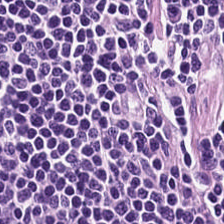Hematoxylin and eosin.
Predominant tissue = lymphoid infiltrate.
